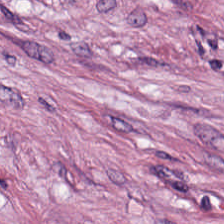Brightfield; hematoxylin and eosin.
Predominantly tumor stroma.
